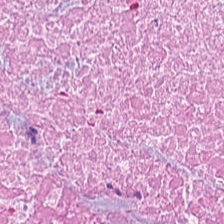Hematoxylin-and-eosin stained section. {"tissue_type": "necrotic debris"}
